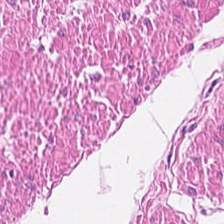H&E stain — This field is muscularis.
